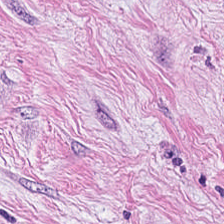Q: What does this patch show?
A: This is cancer-associated stroma.
